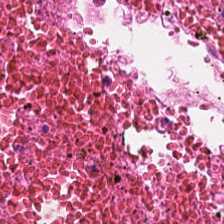{"tissue_type": "debris"}
